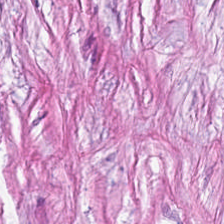H&E stain · 20× equivalent magnification.
The tissue type is tumor-associated stroma.
